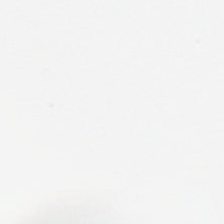224×224 px patch. Hematoxylin and eosin. FFPE. Content = no tissue.
